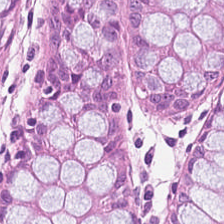H&E-stained tissue section · 224×224 pixel tile.
The predominant tissue is normal colon mucosa.
